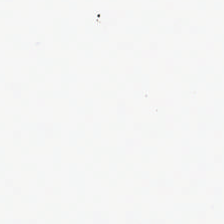Formalin-fixed paraffin-embedded section. H&E. No tissue present; background only.
